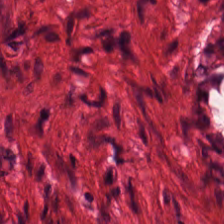Hematoxylin-and-eosin stained section. Q: What does this patch show?
A: It is smooth-muscle tissue.
